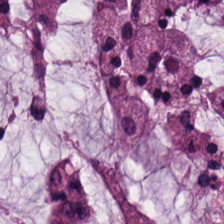Hematoxylin and eosin. Showing mucin.
